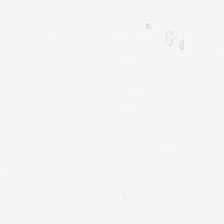Impression → background (no tissue).
